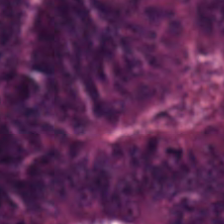H&E-stained tissue section. Predominant tissue: colorectal adenocarcinoma.
